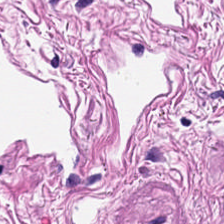224×224 px tile · H&E-stained tissue section · FFPE.
The predominant tissue is smooth muscle.
